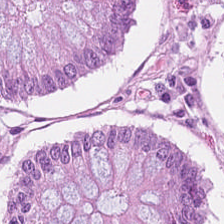H&E. {"tissue_type": "normal colonic mucosa"}
